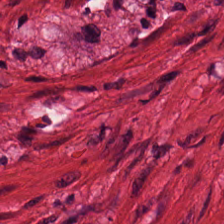H&E-stained tissue section. Muscularis.
